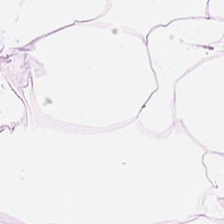H&E-stained tissue section. The predominant tissue is adipocytes.
